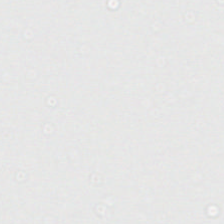Stain: H&E.
Classification: empty background.
